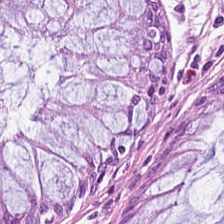Hematoxylin-and-eosin stained section.
The tissue type is non-neoplastic colon mucosa.
